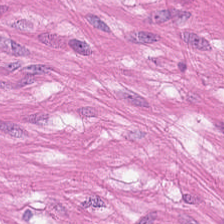H&E.
Tissue class = smooth muscle.
